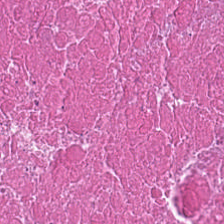H&E stain. Tissue type: necrotic debris.
